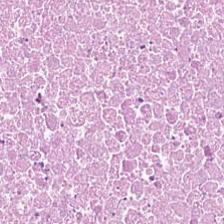This patch shows debris.
